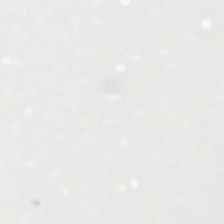Classification: background.
